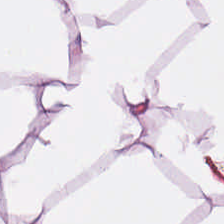224×224 pixel tile; H&E. Showing fat tissue.
